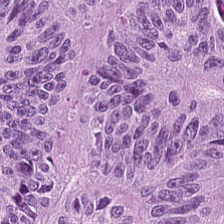Brightfield microscopy; hematoxylin-and-eosin stained section.
This patch shows tumor epithelium.
